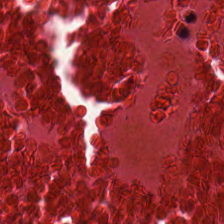FFPE tissue section · H&E.
The predominant tissue is necrotic debris.
